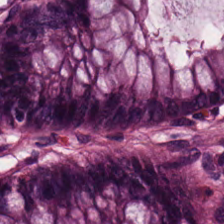Hematoxylin and eosin. Predominant tissue — normal colon mucosa.
